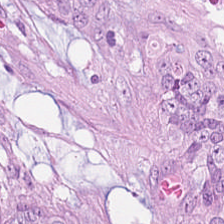224×224 px patch; H&E stain.
The predominant tissue is colorectal adenocarcinoma.
